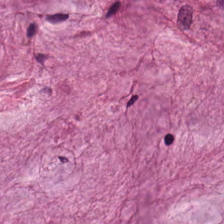224×224 px patch; hematoxylin-and-eosin stained section; FFPE — Mucus.
